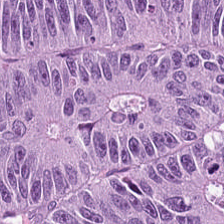Q: What tissue is shown?
A: Tumor epithelium.
